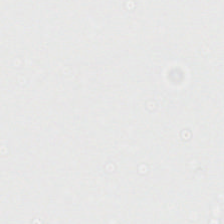H&E stain · whole-slide-image patch.
No tissue present; background only.
